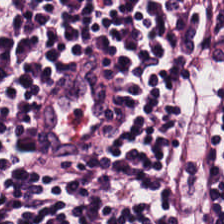H&E. 224×224 pixel tile — {"tissue_type": "lymphocytic infiltrate"}
